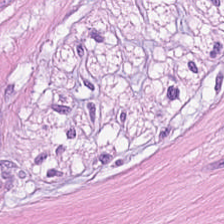Hematoxylin-and-eosin stained section.
This patch shows smooth muscle.
